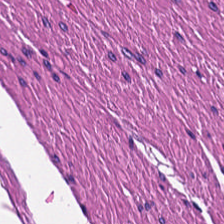0.5 µm/px; hematoxylin and eosin.
The tissue class is smooth muscle.
